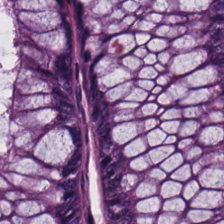Tissue — non-neoplastic colon mucosa.
